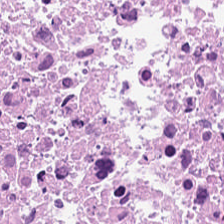H&E stain; 0.5 microns per pixel; whole-slide-image patch — Finding — necrotic debris.
